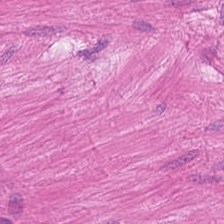Hematoxylin-and-eosin stained section — Q: What tissue type is shown here?
A: Muscularis.
